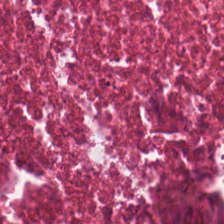H&E — This patch shows debris.
